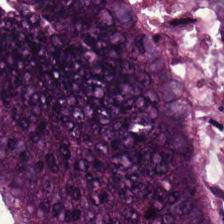H&E.
Q: What tissue type is shown here?
A: Malignant epithelium.
